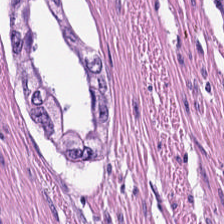Stain: H&E stain.
Tissue: smooth-muscle tissue.
